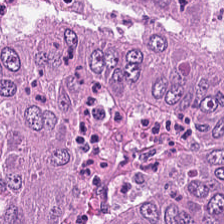Hematoxylin and eosin.
The predominant tissue is colorectal adenocarcinoma.
